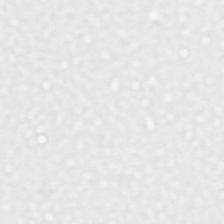Stain: H&E stain.
Content: background.
